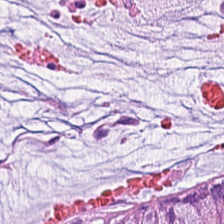This field is extracellular mucin.
